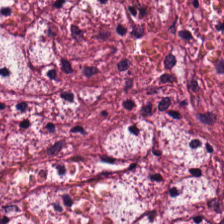Finding → tumor stroma.
